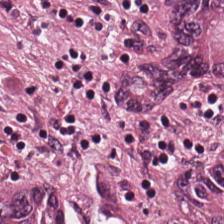H&E stain; 0.5 µm/px. Tissue type: adenocarcinoma.
